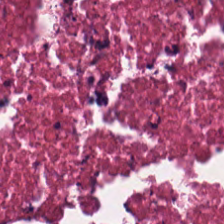Hematoxylin-and-eosin stained section — The tissue is cellular debris.
